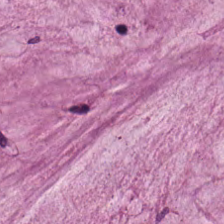Q: What is shown in this field?
A: The field shows mucin.
